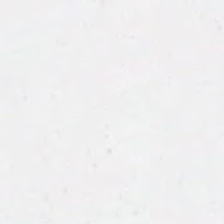Hematoxylin-and-eosin stained section. Q: What is shown here?
A: It is no tissue.
